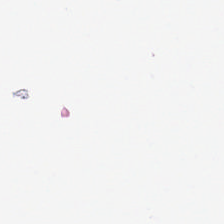20× equivalent magnification; formalin-fixed paraffin-embedded section; H&E-stained tissue section — Q: What does this patch show?
A: The field shows background.
